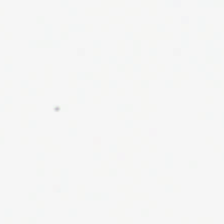Stain: hematoxylin and eosin.
Resolution: 0.5 microns per pixel.
Preparation: FFPE tissue section.
Field content: empty background.
